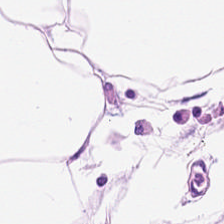H&E-stained section; the field shows adipose tissue.
